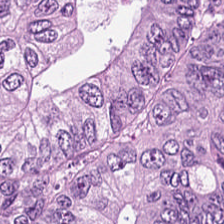Formalin-fixed paraffin-embedded section. Hematoxylin and eosin. 224×224 px patch — The tissue here is colorectal adenocarcinoma.
